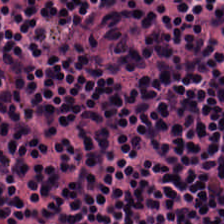H&E stain; 0.5 microns per pixel. Tissue: lymphocytic infiltrate.
